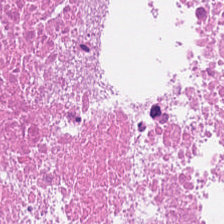Hematoxylin-and-eosin stained section. Predominant tissue = cellular debris.
